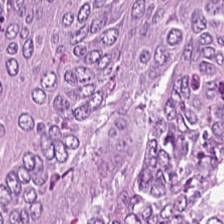H&E-stained tissue section — Classification: tumor epithelium.
